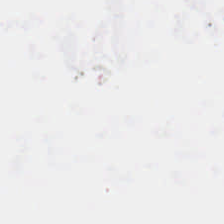H&E-stained tissue section. FFPE. Q: What is shown in this field?
A: This is background (no tissue).
